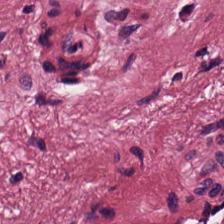0.5 microns per pixel. H&E-stained tissue section.
Predominantly tumor-associated stroma.
